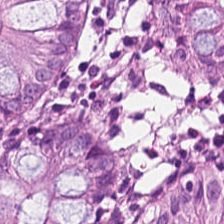H&E stain · FFPE tissue section.
Predominant tissue — normal colon mucosa.
